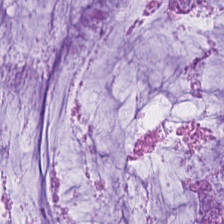Q: What is the predominant tissue type?
A: Mucin.
